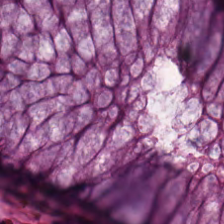H&E. Formalin-fixed paraffin-embedded section — Q: What is shown in this field?
A: The field shows normal colon mucosa.
